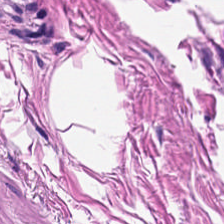H&E-stained tissue section · brightfield. Impression → smooth-muscle tissue.
